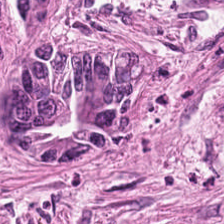H&E stain. Tissue class — malignant epithelium.
